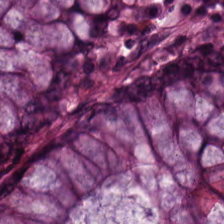Predominant tissue = non-neoplastic colon mucosa.
